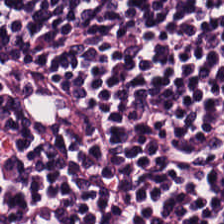H&E patch showing lymphocyte aggregate.
